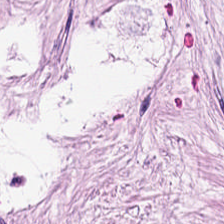H&E. Predominantly tumor-associated stroma.
